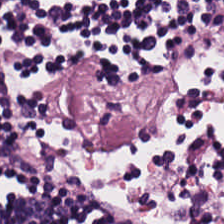H&E. Q: What type of tissue is this?
A: This is lymphocytic infiltrate.
